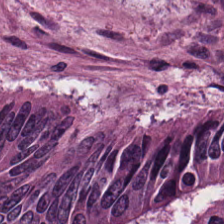0.5 microns per pixel · whole-slide-image patch · hematoxylin-and-eosin stained section. Impression — adenocarcinoma.
